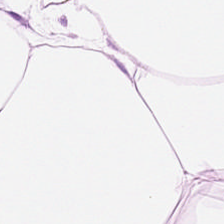H&E-stained tissue section — This patch shows adipocytes.
